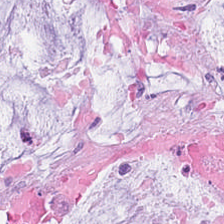Stain: hematoxylin-and-eosin stained section.
Tissue: mucin.
